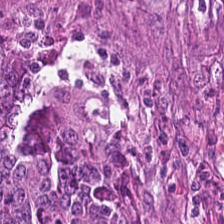H&E.
The tissue here is adenocarcinoma.
